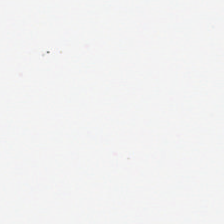Field content = background.
